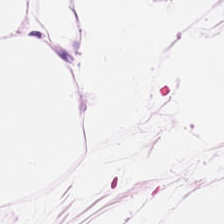Tissue class — adipocytes.
